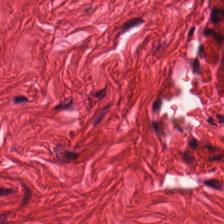Stain: H&E-stained tissue section.
Tile size: 224×224 px tile.
Preparation: formalin-fixed paraffin-embedded section.
Tissue class: muscularis.
